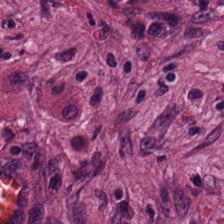Hematoxylin and eosin. Finding — cancer-associated stroma.
